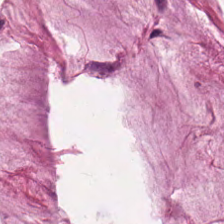Hematoxylin-and-eosin stained section.
Q: What tissue is shown?
A: It is extracellular mucin.
